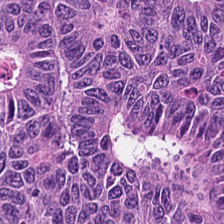Hematoxylin-and-eosin stained section. Showing colorectal adenocarcinoma epithelium.
